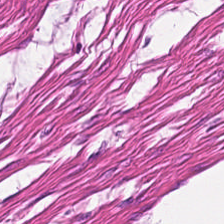{"tissue_type": "smooth muscle"}
